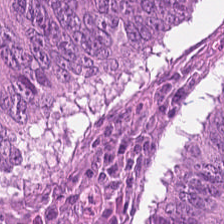The tissue here is adenocarcinoma.
